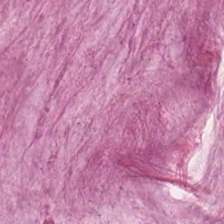H&E. The predominant tissue is mucus.
